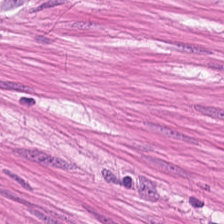Stain: H&E.
Tile size: 224×224 px patch.
Resolution: 0.5 µm per pixel.
Predominant tissue: muscularis.
